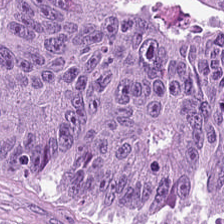H&E-stained tissue section.
Finding → malignant epithelium.
